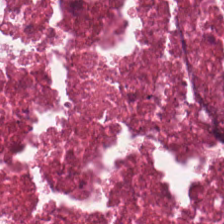FFPE; 224×224 px patch; H&E stain.
Histology → necrotic debris.
